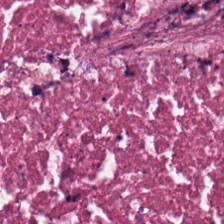H&E stain — Tissue class = debris.
